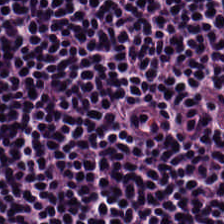H&E-stained tissue section. The tissue here is lymphoid infiltrate.
